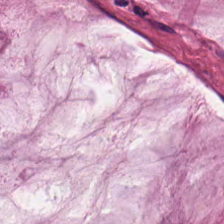Hematoxylin and eosin.
Q: Identify the tissue.
A: It is mucin.
